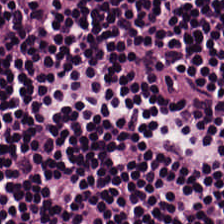Stain: hematoxylin and eosin.
Tissue class: lymphocytic infiltrate.
